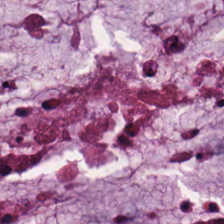224×224 px patch. Hematoxylin and eosin — Q: What is shown in this field?
A: Mucin.
